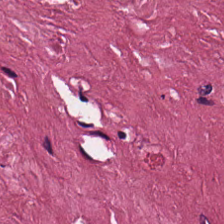Whole-slide-image patch. Hematoxylin-and-eosin stained section. Tissue class = tumor stroma.
